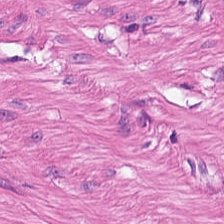H&E stain — Smooth muscle.
